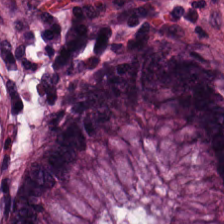Q: Identify the tissue.
A: This is benign colonic mucosa.
